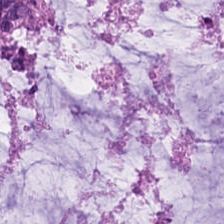The tissue is mucin.
